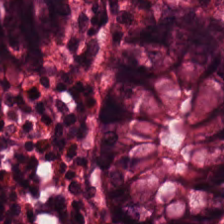Stain: hematoxylin-and-eosin stained section.
Preparation: FFPE.
Tissue: normal colonic mucosa.
